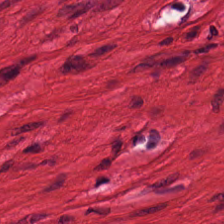Whole-slide-image patch; H&E-stained tissue section.
Predominant tissue: smooth muscle.
